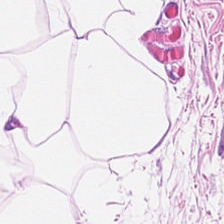Stain: hematoxylin-and-eosin stained section.
Acquisition: brightfield.
Tissue: adipose.
